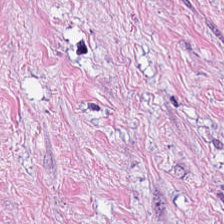H&E-stained tissue section · 224×224 pixel tile.
Q: What type of tissue is this?
A: This is cancer-associated stroma.
